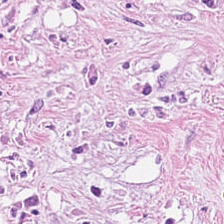Stain: H&E-stained tissue section.
Tissue class: tumor-associated stroma.
